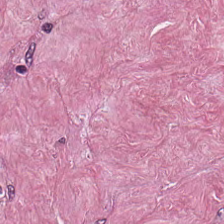Q: What tissue type is shown here?
A: Tumor stroma.
